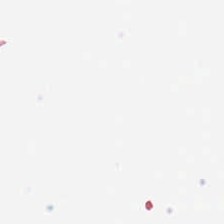H&E-stained tissue section.
Classification: background.
